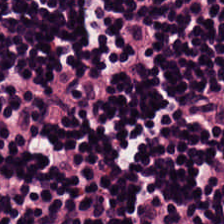H&E — Impression → lymphoid infiltrate.
